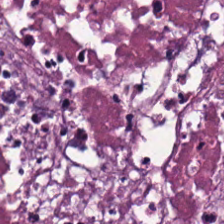Stain: hematoxylin and eosin.
Acquisition: brightfield microscopy.
Tissue: necrotic debris.
